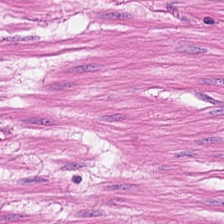Classification: smooth muscle.
